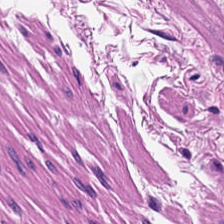H&E-stained tissue section — This patch shows smooth-muscle tissue.
